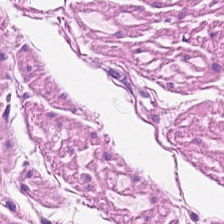224×224 px tile · H&E-stained tissue section. Q: Classify this patch.
A: This is smooth-muscle tissue.
